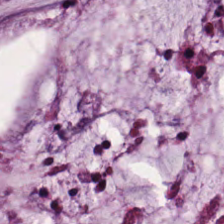Stain: hematoxylin and eosin.
Resolution: 20× equivalent magnification.
Predominant tissue: extracellular mucin.
